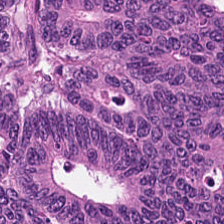H&E — Showing colorectal adenocarcinoma epithelium.
